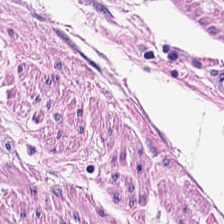Hematoxylin-and-eosin stained section — This patch shows muscularis.
